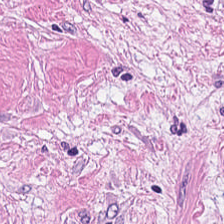224×224 px patch; hematoxylin and eosin; FFPE tissue section.
The predominant tissue is cancer-associated stroma.
